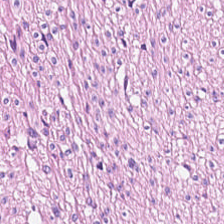Stain: H&E.
Tissue type: smooth muscle.
